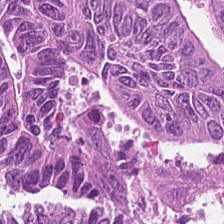Tumor epithelium.
